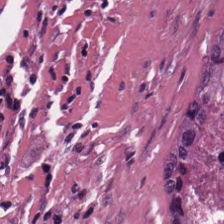Stain: hematoxylin and eosin.
Tissue: necrotic debris.
